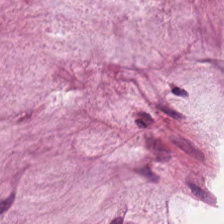Stain: H&E-stained tissue section.
Tissue class: extracellular mucin.
